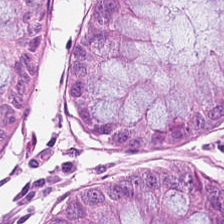Hematoxylin-and-eosin stained section. Q: What is shown here?
A: The field shows normal colon mucosa.
